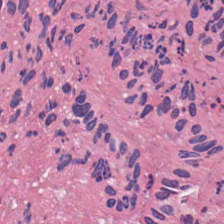Stain: hematoxylin-and-eosin stained section.
Acquisition: brightfield.
Tissue class: necrotic debris.
